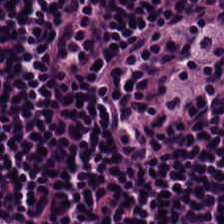Hematoxylin-and-eosin stained section. Tissue class — lymphocytes.
